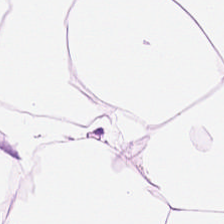Adipocytes.
